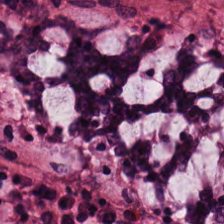Classification — normal colon mucosa.
